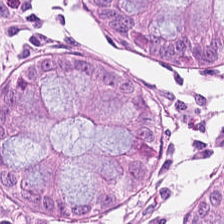Hematoxylin-and-eosin section: benign colonic mucosa.
